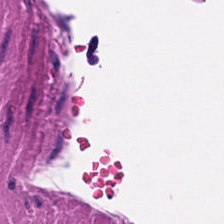Hematoxylin-and-eosin stained section.
Q: What tissue is shown?
A: This is smooth-muscle tissue.
